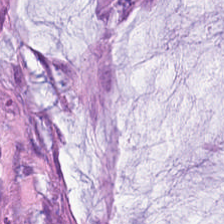20× equivalent magnification · H&E-stained tissue section — Q: What tissue type is shown here?
A: This is mucus.
